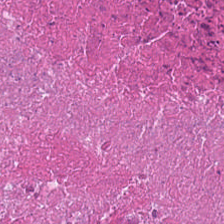H&E. Q: Identify the tissue.
A: This is cellular debris.
